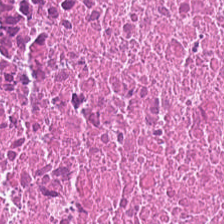Formalin-fixed paraffin-embedded section; hematoxylin and eosin — The predominant tissue is cellular debris.
